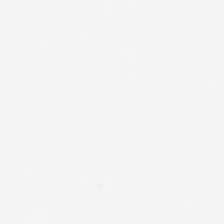Brightfield · 224×224 px tile · hematoxylin-and-eosin stained section — Q: What does this patch show?
A: Empty background.
